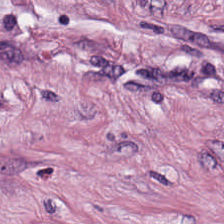Whole-slide-image patch; hematoxylin and eosin; formalin-fixed paraffin-embedded section — Classification: cancer-associated stroma.
